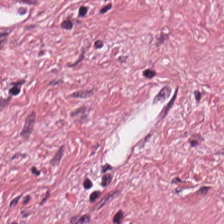The tissue is tumor stroma.
